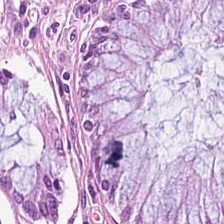Benign colonic mucosa.
